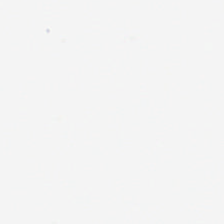Empty field — no tissue.
